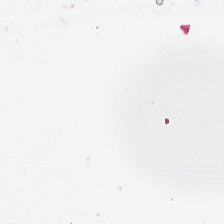H&E-stained tissue section. Impression — no tissue.
